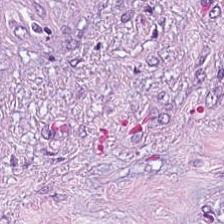H&E-stained tissue section · brightfield microscopy · 224×224 px patch — The predominant tissue is tumor stroma.
